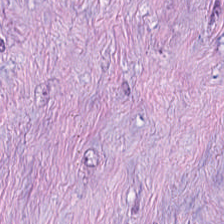H&E — Desmoplastic stroma.
